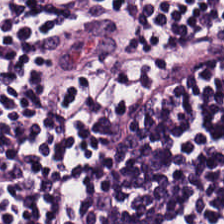H&E-stained tissue section. FFPE tissue section — Finding → lymphocytic infiltrate.
